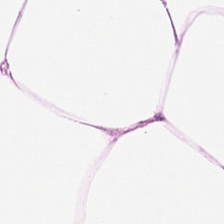FFPE. H&E. This field is adipose.
